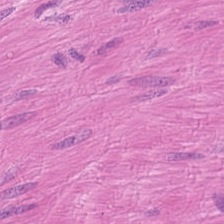FFPE tissue section · H&E.
Histology → smooth muscle.
